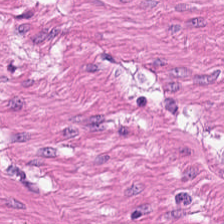H&E; FFPE tissue section; WSI patch.
Q: What tissue is shown?
A: This is smooth-muscle tissue.
